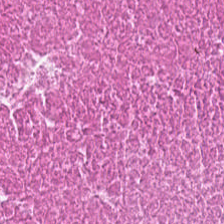Hematoxylin-and-eosin stained section. 224×224 px patch — Showing debris.
